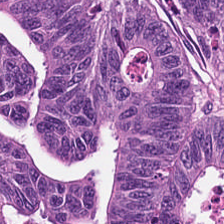The classification is tumor epithelium.
